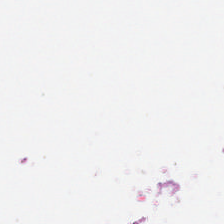0.5 µm/px. Brightfield. H&E-stained tissue section — Background — no tissue in this field.
